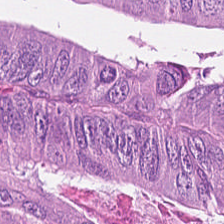H&E-stained tissue section. 224×224 px patch — Q: What tissue type is shown here?
A: It is colorectal adenocarcinoma epithelium.
